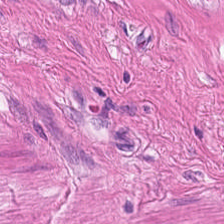Stain: hematoxylin-and-eosin stained section.
Tissue type: muscularis.
